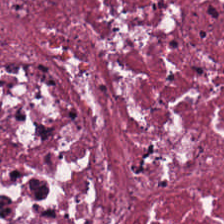H&E-stained tissue section — Q: What does this patch show?
A: Necrotic debris.
